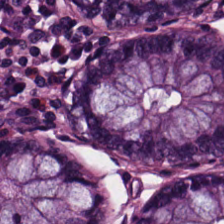Hematoxylin and eosin. Showing normal colon mucosa.
